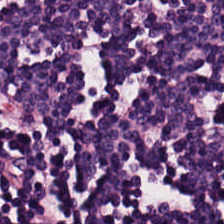Q: What is the predominant tissue type?
A: Lymphocyte aggregate.
